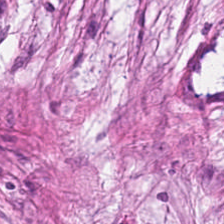H&E stain — Tissue: tumor-associated stroma.
